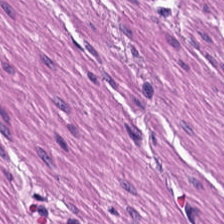Stain: H&E stain.
Predominant tissue: muscularis.
